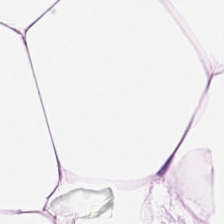H&E-stained tissue section.
Fat tissue.
